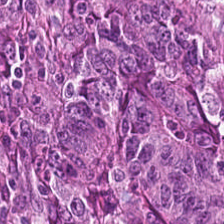This patch shows tumor epithelium.
